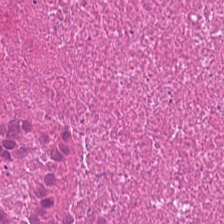{"tissue_type": "necrotic debris"}
